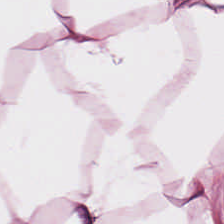Showing adipose.
